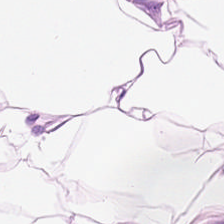Q: What is the predominant tissue type?
A: It is adipose tissue.
